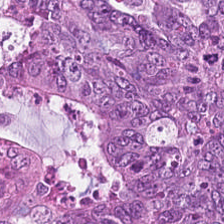WSI patch. H&E — Tissue class: colorectal adenocarcinoma.
